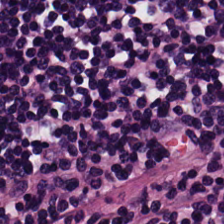224×224 px tile; H&E stain — Tissue type: lymphocyte aggregate.
